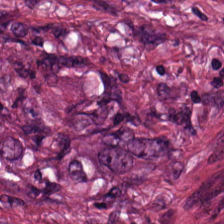Hematoxylin and eosin; FFPE — Tissue class — desmoplastic stroma.
